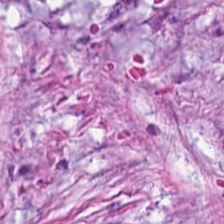Hematoxylin and eosin · 224×224 px tile · 20× equivalent magnification — The tissue here is cancer-associated stroma.
